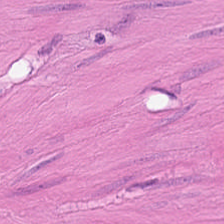H&E stain — Impression — muscularis.
